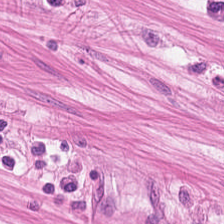Hematoxylin and eosin · 0.5 µm/px. Finding — smooth muscle.
